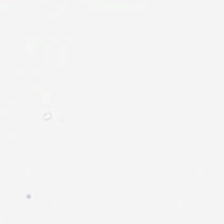Hematoxylin-and-eosin stained section — Histology → background (no tissue).
